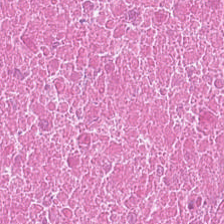Tissue type — necrotic debris.
